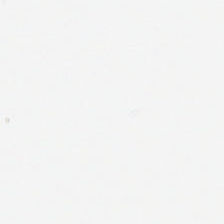Empty field — empty background.
